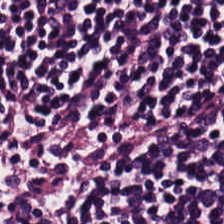H&E. Q: What is the predominant tissue type?
A: Lymphoid infiltrate.
